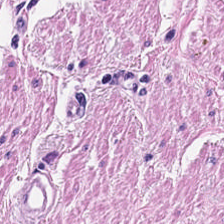Stain: H&E.
Tissue: smooth-muscle tissue.
